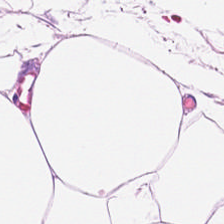This field is adipose tissue.
